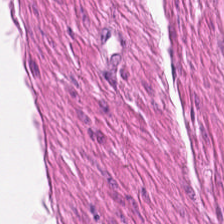H&E-stained tissue section · 0.5 µm/px. Tissue type: muscularis.
